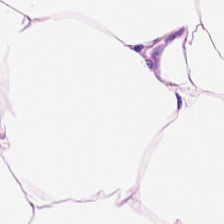Hematoxylin and eosin — Q: What type of tissue is this?
A: It is fat tissue.
